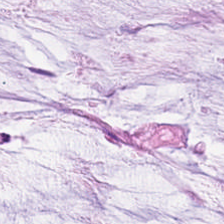H&E stain. Classification — mucin.
